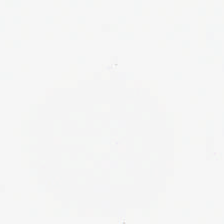224×224 px patch; H&E. Content — background.
